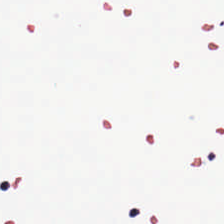Hematoxylin-and-eosin stained section.
Empty field — background (no tissue).
